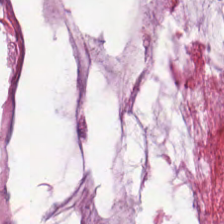Hematoxylin and eosin. The predominant tissue is mucus.
